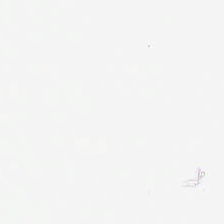Stain: hematoxylin and eosin.
Resolution: 20× equivalent magnification.
Classification: background (no tissue).
